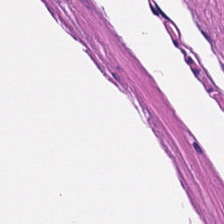H&E-stained tissue section showing muscularis.
